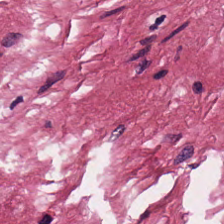Histology → cancer-associated stroma.
